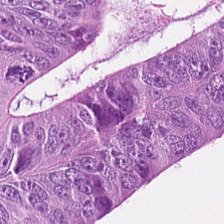{"tissue_type": "malignant epithelium"}
